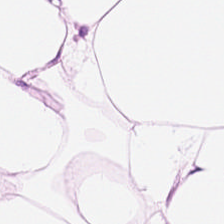H&E. This field is adipose.
